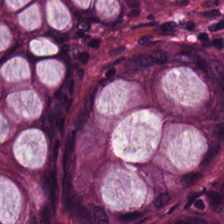Predominant tissue: normal colonic mucosa.
